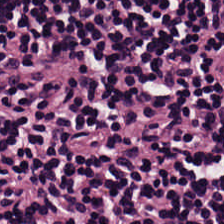H&E-stained tissue section — Finding → lymphocytic infiltrate.
